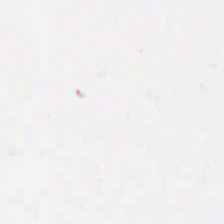H&E stain.
Field content — no tissue.
